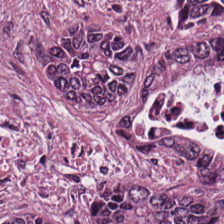H&E. Q: What type of tissue is this?
A: Tumor epithelium.
